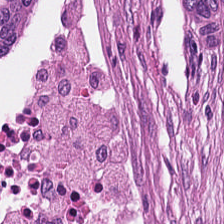H&E. Tissue: malignant epithelium.
